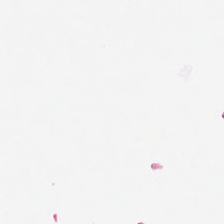H&E-stained tissue section.
Field content = background (no tissue).
